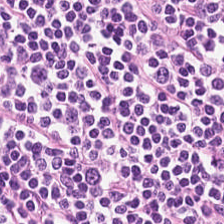Stain: H&E-stained tissue section.
Predominant tissue: lymphocytic infiltrate.
